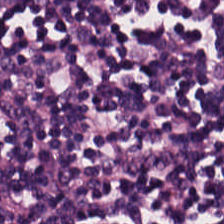H&E-stained tissue section · 224×224 px tile — Classification: lymphocytic infiltrate.
